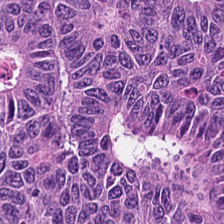Hematoxylin-and-eosin stained section — The tissue class is tumor epithelium.
